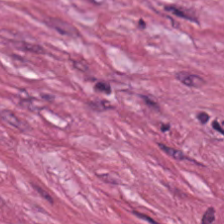Stain: H&E.
Resolution: 0.5 µm/px.
Preparation: FFPE.
Predominant tissue: cancer-associated stroma.
